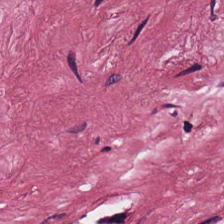Stain: H&E-stained tissue section.
Tissue type: tumor-associated stroma.
